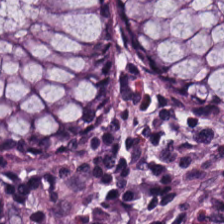This field is benign colonic mucosa.
